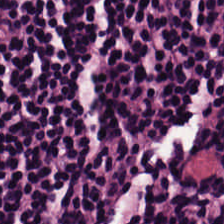H&E stain · WSI patch · FFPE tissue section — This patch shows lymphocytic infiltrate.
